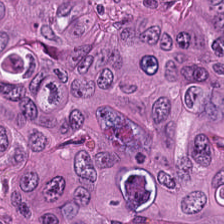Stain: hematoxylin and eosin.
Predominant tissue: adenocarcinoma.
